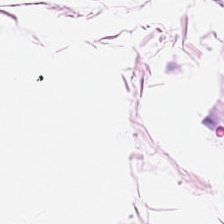H&E. Predominant tissue — adipose tissue.
